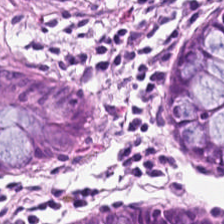20× equivalent magnification. 224×224 pixel tile. H&E.
Predominantly benign colonic mucosa.
